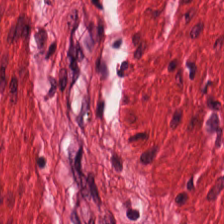Hematoxylin-and-eosin stained section. Showing muscularis.
